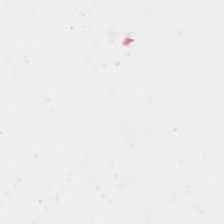Hematoxylin and eosin. Content — no tissue.
